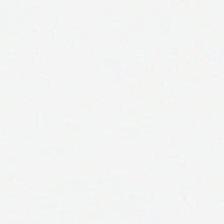H&E-stained tissue section.
Background — no tissue in this field.
